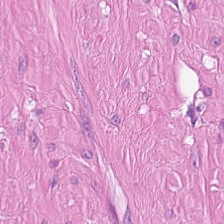Hematoxylin-and-eosin stained section.
Tissue type = smooth-muscle tissue.
